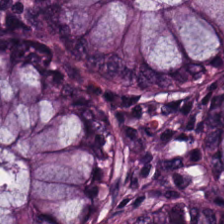Hematoxylin-and-eosin stained section.
Impression → normal colonic mucosa.
